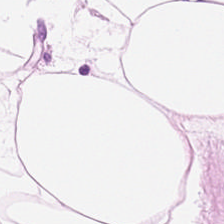224×224 pixel tile; brightfield microscopy; H&E — Predominantly adipose.
